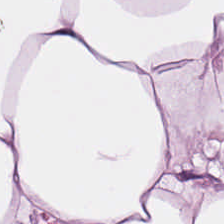This patch shows adipose tissue.
